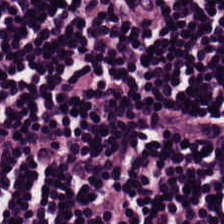Hematoxylin and eosin.
Histology — lymphocytes.
